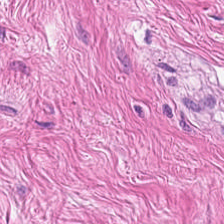Hematoxylin-and-eosin stained section — Q: What does this patch show?
A: It is smooth-muscle tissue.
